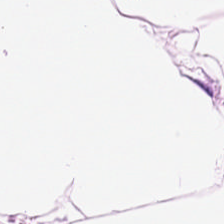H&E-stained tissue section. {"tissue_type": "adipose tissue"}
